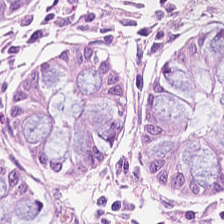H&E — Finding — normal colon mucosa.
